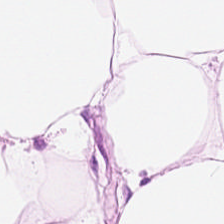Stain: H&E.
Resolution: 0.5 microns per pixel.
Preparation: formalin-fixed paraffin-embedded section.
Tissue type: adipocytes.
